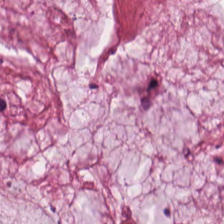Hematoxylin and eosin · formalin-fixed paraffin-embedded section.
Predominantly mucin.
